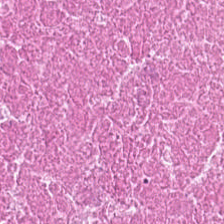Stain: hematoxylin and eosin.
Predominant tissue: cellular debris.
